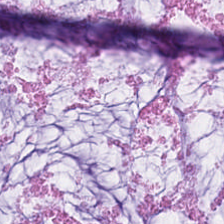The tissue is extracellular mucin.
